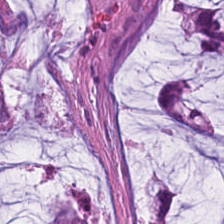H&E-stained tissue section. Tissue class — mucin.
